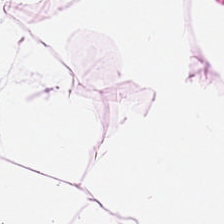Stain: H&E.
Classification: adipose.
